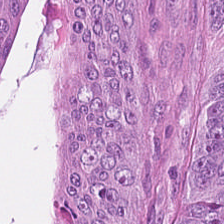Hematoxylin-and-eosin stained section.
Predominant tissue = malignant epithelium.
